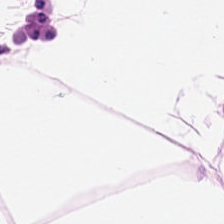Hematoxylin-and-eosin stained section. Tissue type: fat tissue.
